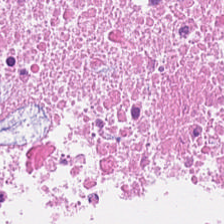Stain: hematoxylin and eosin.
Tile size: 224×224 px tile.
Resolution: 0.5 µm per pixel.
Classification: debris.
